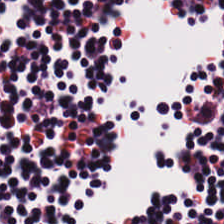Hematoxylin-and-eosin stained section; 20× equivalent magnification.
This field is lymphocyte aggregate.
